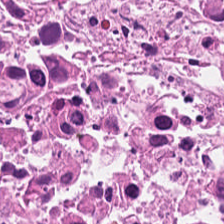Stain: H&E-stained tissue section.
Resolution: 0.5 µm/px.
Acquisition: brightfield microscopy.
Classification: debris.
